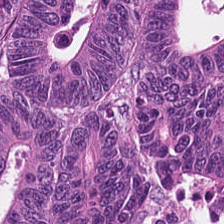Stain: hematoxylin and eosin.
Tissue class: colorectal adenocarcinoma.
